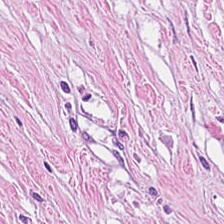224×224 px tile · hematoxylin-and-eosin stained section.
Impression — tumor-associated stroma.
